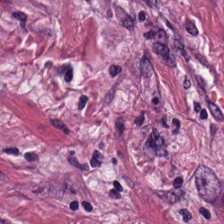H&E-stained tissue section. Q: What tissue is shown?
A: It is tumor stroma.
